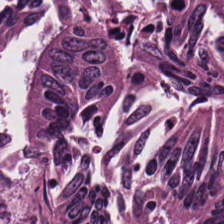H&E.
This field is colorectal adenocarcinoma epithelium.
